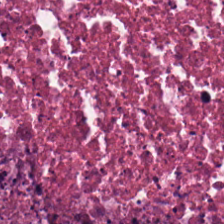Predominantly cellular debris.
